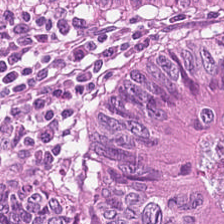Brightfield. 224×224 px tile. Hematoxylin and eosin — Q: What is shown here?
A: It is adenocarcinoma.
